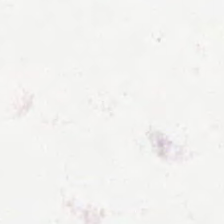H&E. Empty field — background (no tissue).
